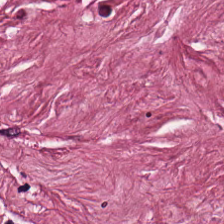H&E stain.
Predominantly desmoplastic stroma.
